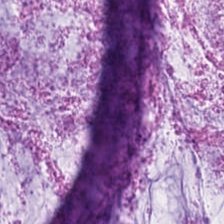Predominant tissue — mucus.
